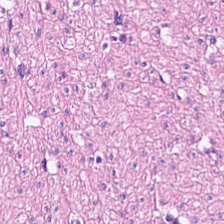Hematoxylin and eosin.
Classification — smooth-muscle tissue.
